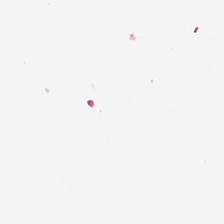H&E — The field content is background.
